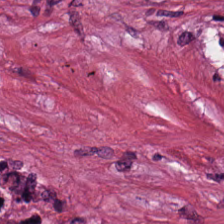224×224 pixel tile; H&E stain; formalin-fixed paraffin-embedded section — Tissue class = cancer-associated stroma.
